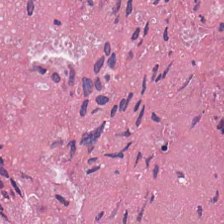224×224 pixel tile. H&E stain. The tissue here is necrotic debris.
